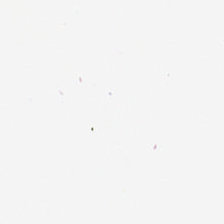Stain: H&E stain.
Tile size: 224×224 pixel tile.
Classification: no tissue.
